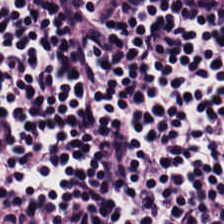Stain: hematoxylin and eosin.
Tissue: lymphocytic infiltrate.
